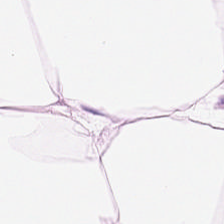H&E-stained tissue section — Predominantly adipose tissue.
